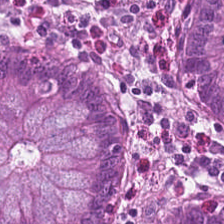H&E — normal colonic mucosa.
